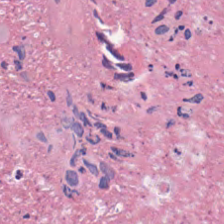0.5 microns per pixel · H&E-stained tissue section. Predominantly debris.
